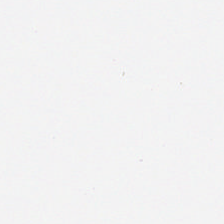Hematoxylin-and-eosin stained section · 0.5 µm/px — Background (no tissue).
